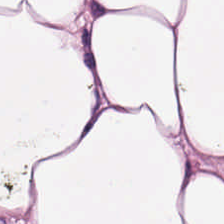H&E-stained tissue section. Showing adipocytes.
